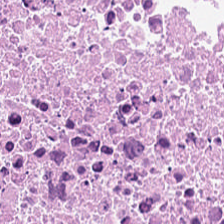H&E-stained tissue section — Q: What is shown here?
A: This is debris.
